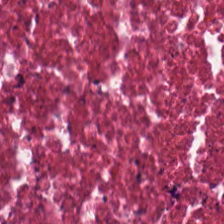Hematoxylin-and-eosin stained section; 20× equivalent magnification; formalin-fixed paraffin-embedded section. The tissue class is debris.
